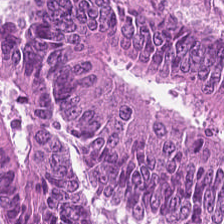Hematoxylin and eosin. The predominant tissue is colorectal adenocarcinoma epithelium.
